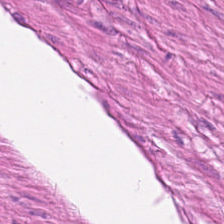The predominant tissue is smooth muscle.
